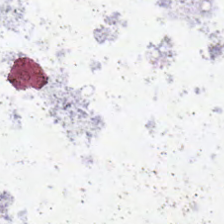H&E · 224×224 px tile · 20× equivalent magnification — Field content — no tissue.
